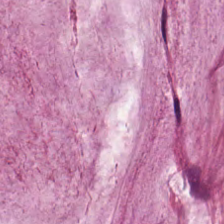{"tissue_type": "mucus"}
